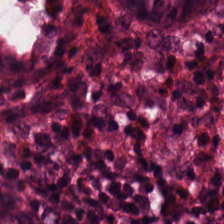H&E-stained tissue section; FFPE; 224×224 px tile.
Q: What is shown in this field?
A: It is benign colonic mucosa.
